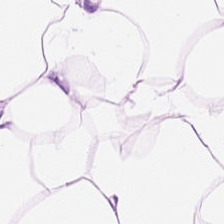H&E-stained tissue section; 224×224 px tile; whole-slide-image patch.
Predominant tissue = adipocytes.
